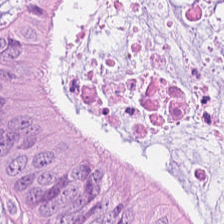FFPE · WSI patch · H&E.
Q: What tissue is shown?
A: Tumor epithelium.
